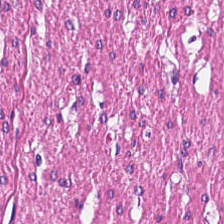0.5 µm/px. Hematoxylin and eosin. Whole-slide-image patch. Q: What is shown here?
A: The field shows muscularis.
